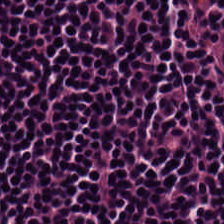Brightfield · hematoxylin-and-eosin stained section — Lymphocytes.
